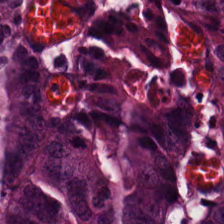224×224 px patch. Hematoxylin-and-eosin stained section. Brightfield. Q: What is shown in this field?
A: It is colorectal adenocarcinoma epithelium.
